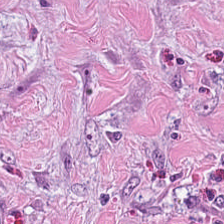224×224 px patch. H&E. Tissue class = desmoplastic stroma.
